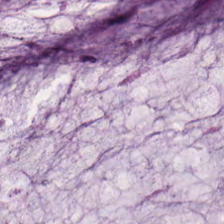H&E.
Tissue type = mucus.
